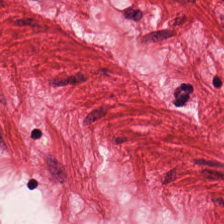Hematoxylin-and-eosin stained section; formalin-fixed paraffin-embedded section — Classification = smooth muscle.
